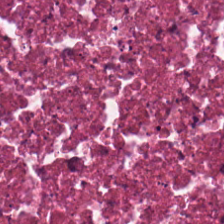H&E-stained tissue section — Q: What is the predominant tissue type?
A: The field shows cellular debris.
